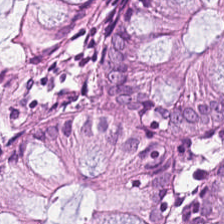Brightfield microscopy · hematoxylin-and-eosin stained section — Benign colonic mucosa.
